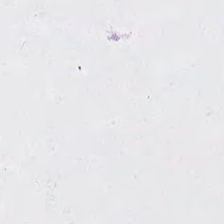H&E stain; 224×224 px patch.
No tissue present; background only.
